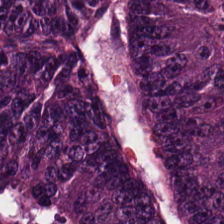Tissue — malignant epithelium.
